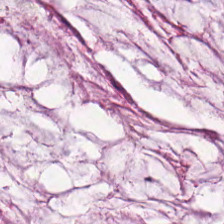H&E stain.
Predominant tissue: mucus.
